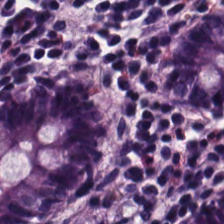Q: What does this patch show?
A: It is normal colonic mucosa.
